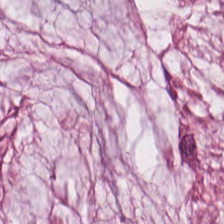Stain: H&E stain.
Resolution: 0.5 microns per pixel.
Tissue: mucin.
